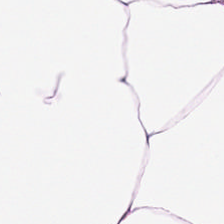Q: What does this patch show?
A: The field shows fat tissue.
